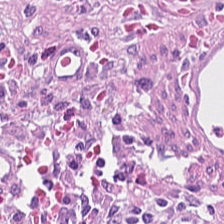0.5 µm/px. H&E. Predominant tissue: desmoplastic stroma.
